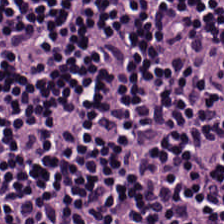Stain: hematoxylin-and-eosin stained section.
Tissue class: lymphocytes.
